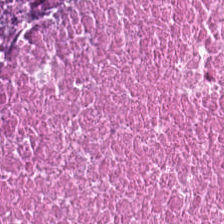Hematoxylin-and-eosin stained section. 224×224 px tile.
This patch shows necrotic debris.
